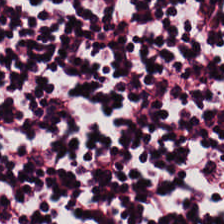Brightfield. Hematoxylin-and-eosin stained section. Predominantly lymphocytes.
